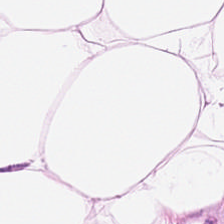H&E.
This patch shows fat tissue.
